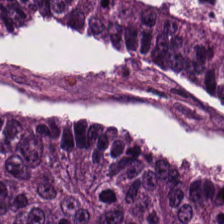H&E stain. This patch shows colorectal adenocarcinoma epithelium.
